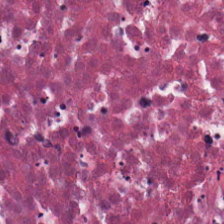H&E.
The predominant tissue is cellular debris.
